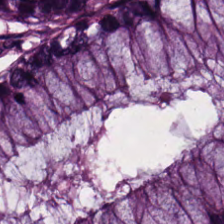20× equivalent magnification; H&E stain.
Q: Identify the tissue.
A: The field shows normal colon mucosa.
